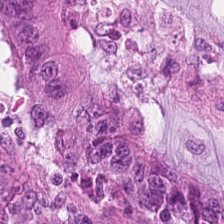Stain: H&E stain.
Acquisition: whole-slide-image patch.
Preparation: FFPE.
Tissue class: tumor epithelium.
